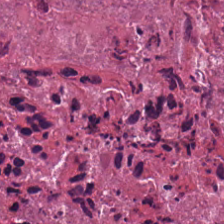Q: Identify the tissue.
A: This is necrotic debris.
